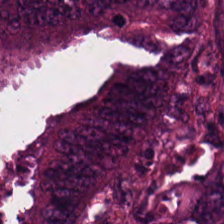H&E-stained tissue section — Q: What is shown here?
A: It is colorectal adenocarcinoma epithelium.
